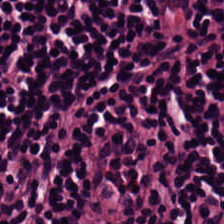0.5 microns per pixel; H&E stain.
{"tissue_type": "lymphoid infiltrate"}
